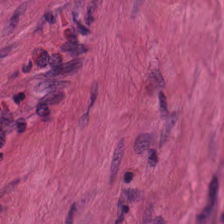H&E.
Q: What does this patch show?
A: This is muscularis.
